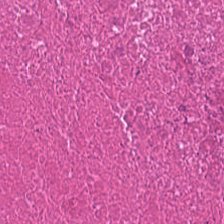H&E.
Tissue class — cellular debris.
